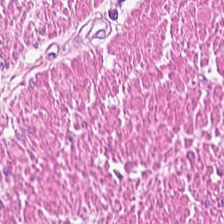H&E-stained section; the field shows smooth-muscle tissue.
